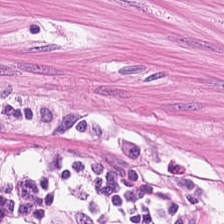Hematoxylin and eosin.
Predominantly muscularis.
